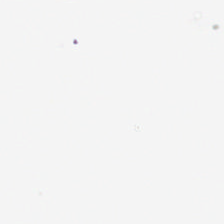Hematoxylin-and-eosin stained section — This patch shows background.
